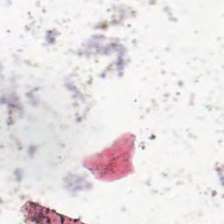H&E-stained tissue section. This field is background (no tissue).
